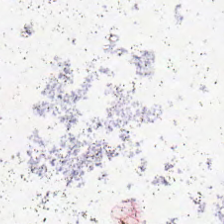WSI patch · H&E-stained tissue section · 0.5 microns per pixel — Content: empty background.
